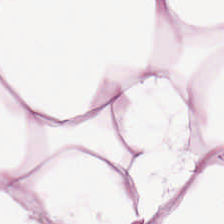Showing adipose tissue.
